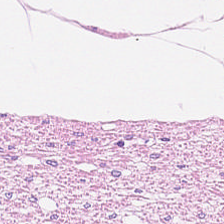224×224 px tile; H&E — {"tissue_type": "smooth muscle"}
